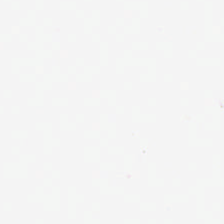H&E stain.
Q: What is shown here?
A: The field shows no tissue.
